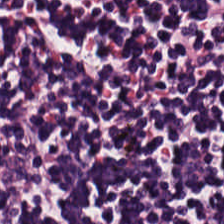Stain: H&E-stained tissue section.
Predominant tissue: lymphocytes.
